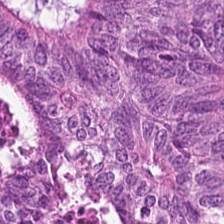Hematoxylin and eosin.
Malignant epithelium.
